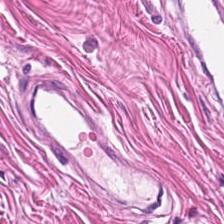224×224 pixel tile; H&E; FFPE. Smooth muscle.
